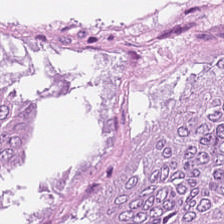H&E; brightfield.
Tissue = malignant epithelium.
